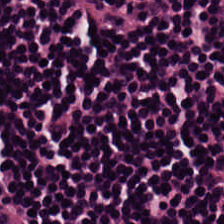224×224 px tile. FFPE tissue section. Hematoxylin-and-eosin stained section — Lymphocyte aggregate.
